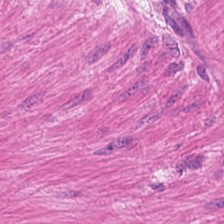H&E patch showing smooth muscle.
